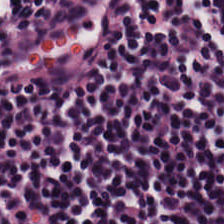H&E-stained tissue section · 0.5 microns per pixel. Tissue type = lymphoid infiltrate.
